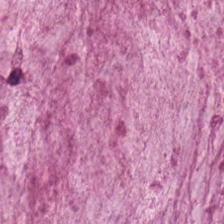H&E · 20× equivalent magnification · 224×224 pixel tile.
Classification: extracellular mucin.
